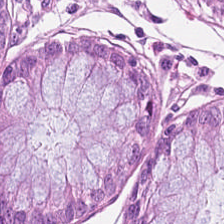224×224 pixel tile; FFPE; hematoxylin and eosin. Histology — non-neoplastic colon mucosa.
